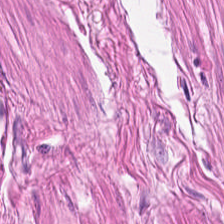H&E stain.
Tissue: smooth muscle.
